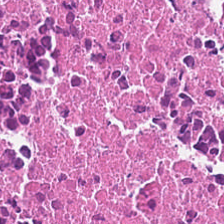Whole-slide-image patch. H&E-stained tissue section. 224×224 px patch.
Q: Identify the tissue.
A: Necrotic debris.
